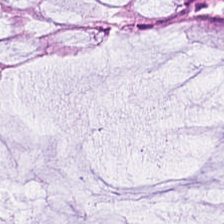Brightfield · hematoxylin-and-eosin stained section.
Histology → non-neoplastic colon mucosa.
